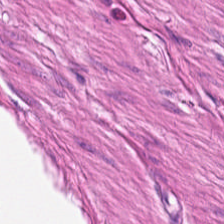Tissue type — smooth-muscle tissue.
